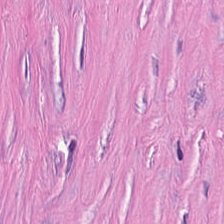H&E stain — The classification is tumor-associated stroma.
